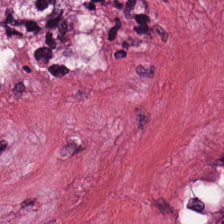FFPE · hematoxylin and eosin.
Tumor-associated stroma.
